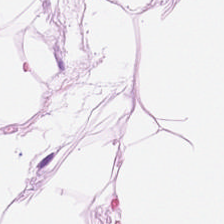Hematoxylin and eosin. FFPE tissue section — Tissue — fat tissue.
